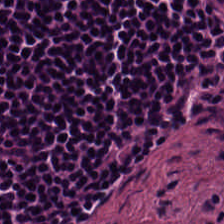0.5 µm per pixel · H&E-stained tissue section.
Tissue: lymphocytes.
